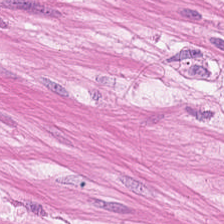FFPE; 224×224 pixel tile; hematoxylin-and-eosin stained section. Tissue class — muscularis.
